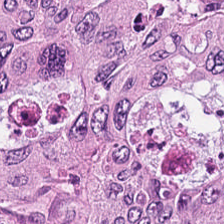WSI patch. H&E stain — {"tissue_type": "colorectal adenocarcinoma epithelium"}
